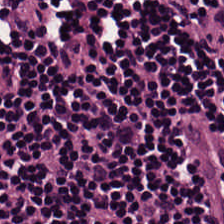Hematoxylin and eosin · FFPE tissue section.
Q: What is shown in this field?
A: Lymphocytes.
